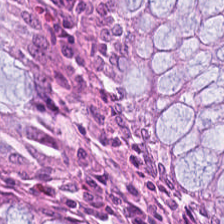H&E — Impression → non-neoplastic colon mucosa.
